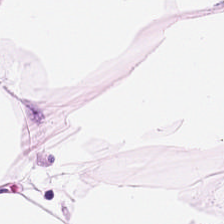224×224 px tile · hematoxylin-and-eosin stained section.
Adipose tissue.
